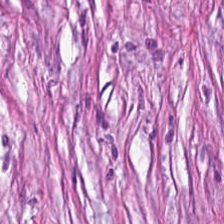H&E; FFPE tissue section; 224×224 pixel tile. This field is desmoplastic stroma.
